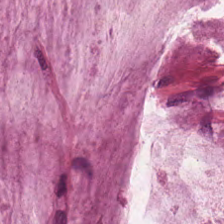H&E — Showing mucin.
